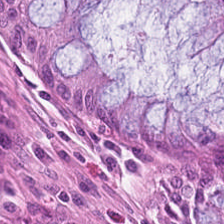Stain: H&E stain.
Preparation: FFPE.
Resolution: 0.5 µm per pixel.
Tissue type: non-neoplastic colon mucosa.
